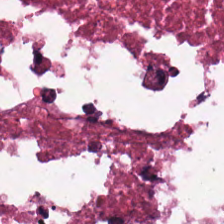Stain: H&E.
Acquisition: brightfield microscopy.
Tile size: 224×224 px tile.
Tissue type: debris.
